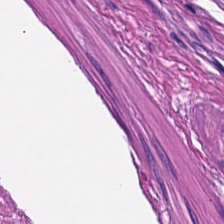This field is smooth-muscle tissue.
